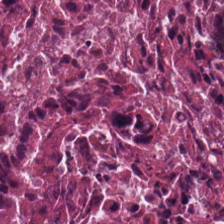0.5 microns per pixel. Hematoxylin-and-eosin stained section. 224×224 px tile — Q: What is shown here?
A: This is debris.
